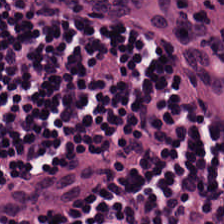Hematoxylin and eosin. Lymphocyte aggregate.
